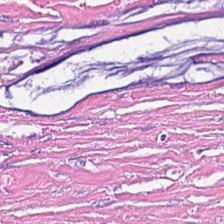224×224 px patch · hematoxylin and eosin.
Impression — desmoplastic stroma.
